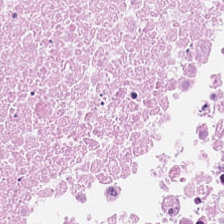H&E-stained tissue section. Tissue type — cellular debris.
